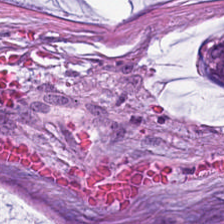Q: What is shown in this field?
A: Mucus.
